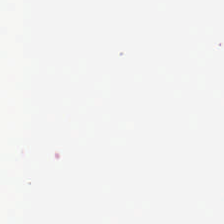Field content = empty background.
